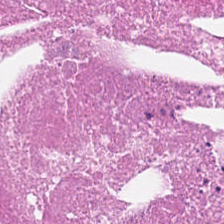Hematoxylin and eosin — The predominant tissue is cellular debris.
